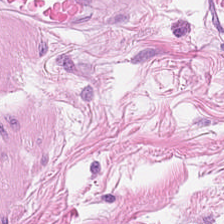Q: What type of tissue is this?
A: This is smooth-muscle tissue.
